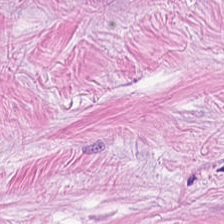H&E-stained tissue section — This patch shows desmoplastic stroma.
